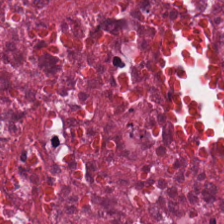Histology — debris.
